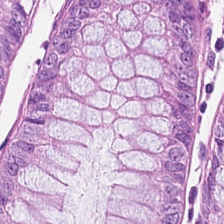The tissue class is non-neoplastic colon mucosa.
